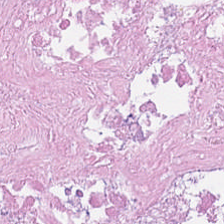Hematoxylin-and-eosin stained section; 0.5 µm per pixel; whole-slide-image patch.
Tissue type: necrotic debris.
